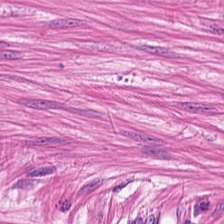Stain: H&E-stained tissue section.
Tissue type: smooth-muscle tissue.
